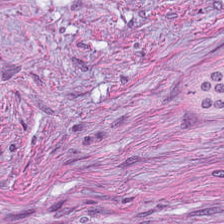Classification = cancer-associated stroma.
